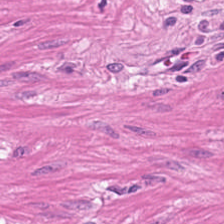Whole-slide-image patch; hematoxylin and eosin; FFPE.
Predominantly smooth muscle.
